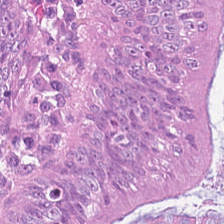Hematoxylin-and-eosin stained section · FFPE tissue section. The tissue here is tumor epithelium.
